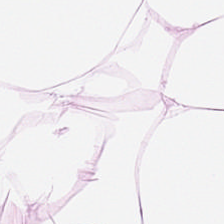The predominant tissue is adipose.
